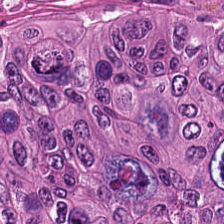Hematoxylin and eosin; whole-slide-image patch — The predominant tissue is colorectal adenocarcinoma epithelium.
